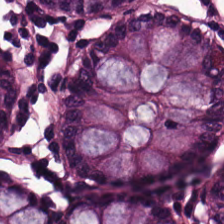H&E stain. Normal colonic mucosa.
